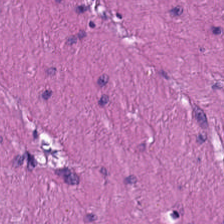Stain: hematoxylin-and-eosin stained section.
Tissue type: smooth muscle.
